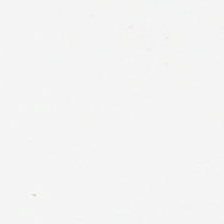H&E-stained tissue section — Classification: background (no tissue).
